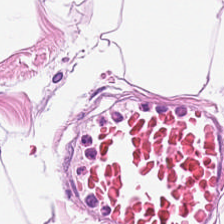Hematoxylin and eosin · formalin-fixed paraffin-embedded section. This patch shows adipocytes.
